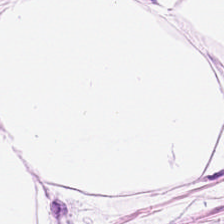The tissue class is adipose tissue.
